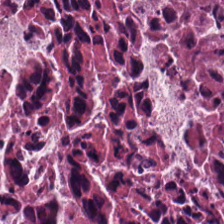224×224 pixel tile; H&E. The predominant tissue is cellular debris.
